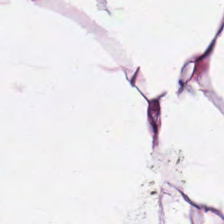The tissue here is adipose.
